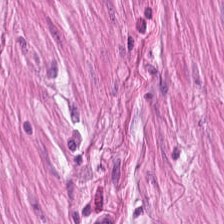The predominant tissue is smooth muscle.
